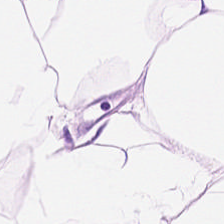This patch shows adipocytes.
